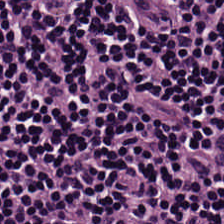Stain: hematoxylin-and-eosin stained section.
Tile size: 224×224 px tile.
Classification: lymphocytic infiltrate.
